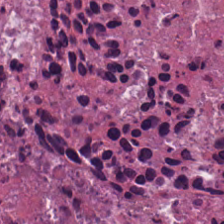H&E. Tissue = debris.
